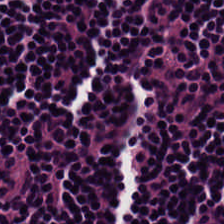Hematoxylin-and-eosin stained section · 0.5 microns per pixel.
Classification: lymphocytes.
